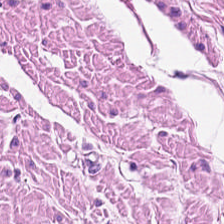FFPE; H&E; 224×224 px patch.
Classification — smooth muscle.
